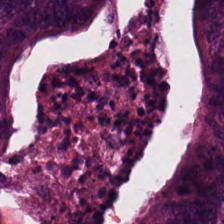H&E-stained tissue section. The tissue type is colorectal adenocarcinoma.
